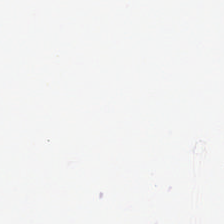H&E-stained tissue section.
Content — background.
